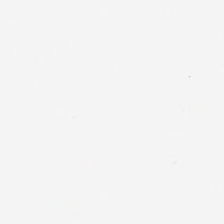Field content = empty background.
